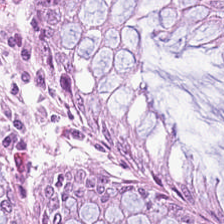0.5 µm/px. Brightfield microscopy. H&E. This field is benign colonic mucosa.
